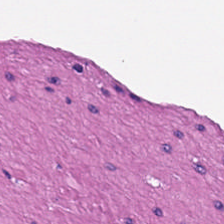Tissue class — smooth-muscle tissue.
